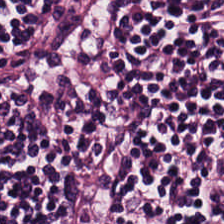224×224 pixel tile. 20× equivalent magnification. H&E-stained tissue section.
Histology → lymphoid infiltrate.
